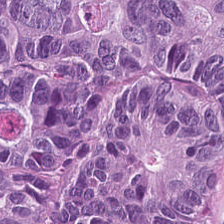The tissue is colorectal adenocarcinoma epithelium.
